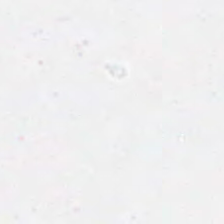H&E — Classification — no tissue.
